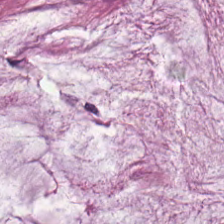Q: What type of tissue is this?
A: The field shows extracellular mucin.
